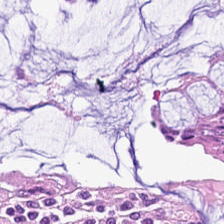H&E. 224×224 px patch. 0.5 microns per pixel. Classification: non-neoplastic colon mucosa.
